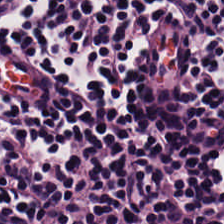Hematoxylin-and-eosin section: lymphoid infiltrate.
